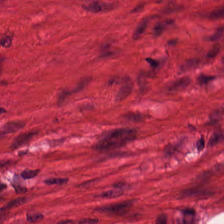Hematoxylin-and-eosin stained section — {"tissue_type": "muscularis"}
